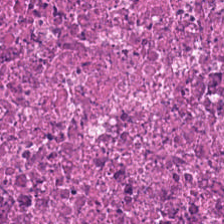Stain: hematoxylin-and-eosin stained section.
Tissue class: necrotic debris.
